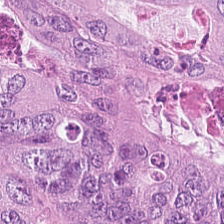H&E-stained tissue section — The tissue here is colorectal adenocarcinoma.
